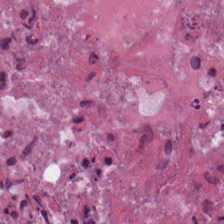H&E stain; FFPE; 224×224 pixel tile — Predominant tissue: necrotic debris.
